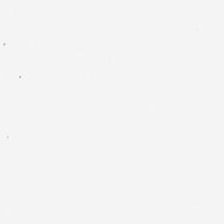0.5 microns per pixel; H&E stain — Q: Classify this patch.
A: This is background (no tissue).
